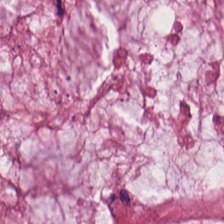Hematoxylin and eosin. FFPE tissue section. Q: What is the predominant tissue type?
A: The field shows mucus.
